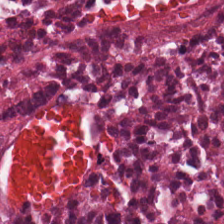The predominant tissue is debris.
